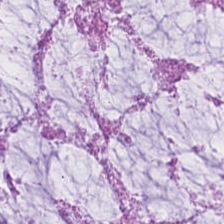Hematoxylin-and-eosin stained section — Finding → mucus.
